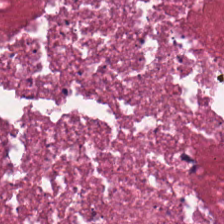Stain: hematoxylin and eosin.
Tissue class: cellular debris.
